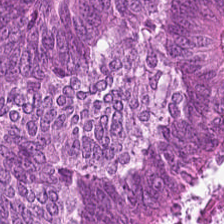Q: Classify this patch.
A: It is tumor epithelium.
